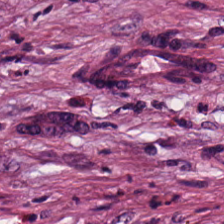H&E-stained tissue section. 0.5 µm/px. Q: Classify this patch.
A: This is desmoplastic stroma.
